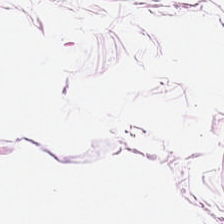H&E. Classification = adipose.
